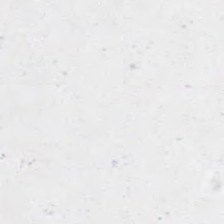224×224 px patch. Hematoxylin-and-eosin stained section. FFPE.
Histology → empty background.
